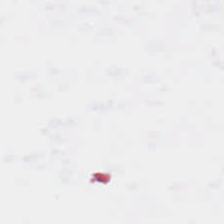No tissue present; background only.
